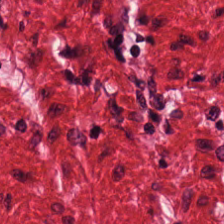H&E-stained tissue section showing smooth muscle.
